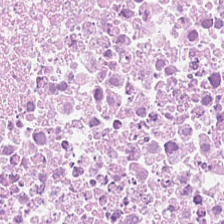H&E.
Showing cellular debris.
